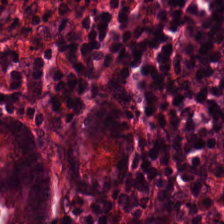Hematoxylin and eosin.
Showing normal colon mucosa.
